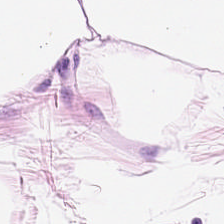H&E-stained tissue section; 224×224 px tile; WSI patch. The tissue here is adipocytes.
